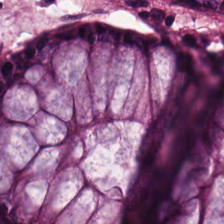H&E-stained tissue section.
This patch shows non-neoplastic colon mucosa.
